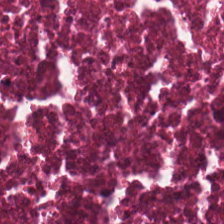H&E; whole-slide-image patch — This patch shows debris.
